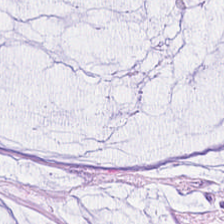0.5 microns per pixel · H&E stain · FFPE.
This patch shows mucus.
